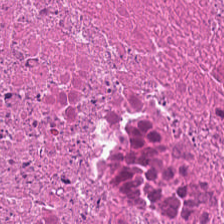224×224 px tile · hematoxylin-and-eosin stained section — The predominant tissue is necrotic debris.
